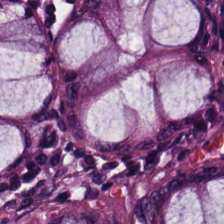H&E stain.
This patch shows normal colon mucosa.
